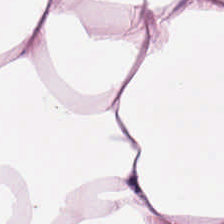20× equivalent magnification. Hematoxylin and eosin.
Predominant tissue — adipose tissue.
